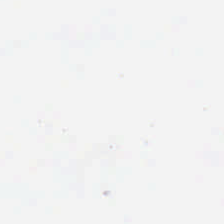Formalin-fixed paraffin-embedded section; 224×224 px tile; hematoxylin-and-eosin stained section — This patch shows no tissue.
